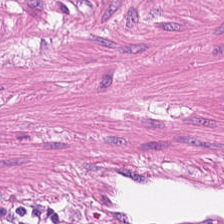224×224 pixel tile · 0.5 µm per pixel · H&E.
This field is smooth muscle.
